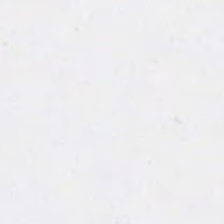Hematoxylin and eosin — Q: Classify this patch.
A: Background.
